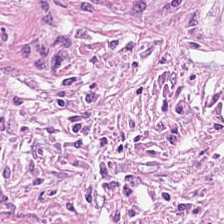H&E. Predominantly tumor-associated stroma.
